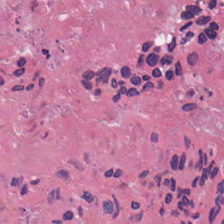H&E-stained tissue section · 0.5 µm per pixel. Q: What type of tissue is this?
A: The field shows cellular debris.
